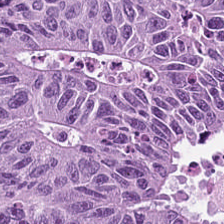Stain: hematoxylin and eosin.
Tissue class: tumor epithelium.
